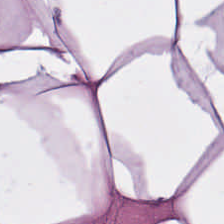Hematoxylin and eosin. Q: Identify the tissue.
A: This is adipose.
